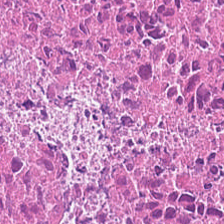H&E. {"tissue_type": "necrotic debris"}
